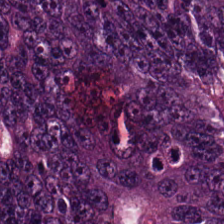Hematoxylin-and-eosin stained section.
This field is colorectal adenocarcinoma.
